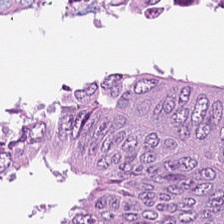H&E-stained tissue section — Colorectal adenocarcinoma.
